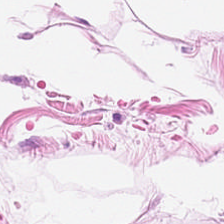Stain: H&E-stained tissue section.
Tissue type: fat tissue.
